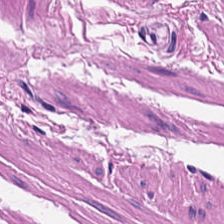Brightfield microscopy; H&E — Finding → smooth muscle.
